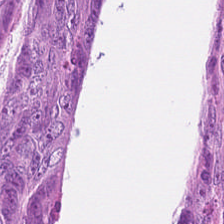FFPE · hematoxylin and eosin. Finding → adenocarcinoma.
